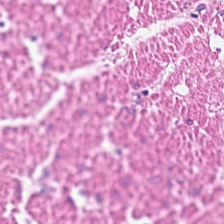The tissue is smooth-muscle tissue.
